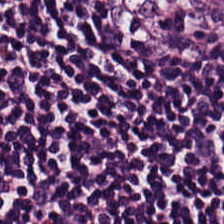H&E stain · WSI patch — {"tissue_type": "lymphoid infiltrate"}
